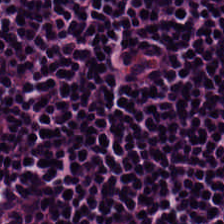Tissue = lymphocyte aggregate.
